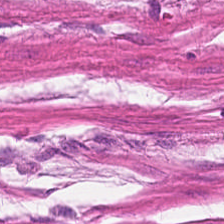H&E stain. Predominantly smooth-muscle tissue.
